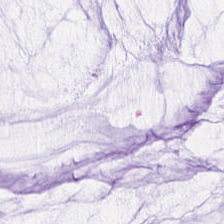H&E-stained tissue section — Q: What is shown in this field?
A: The field shows mucus.
